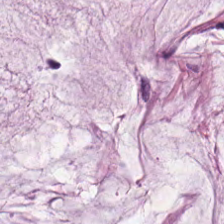Brightfield · H&E stain · 0.5 microns per pixel — Tissue type — mucin.
